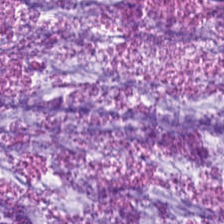Hematoxylin-and-eosin stained section.
The classification is extracellular mucin.
